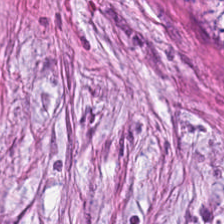224×224 px patch · FFPE · hematoxylin and eosin — The predominant tissue is tumor-associated stroma.
